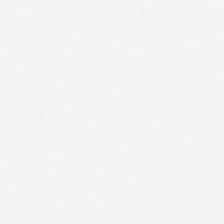Formalin-fixed paraffin-embedded section. Hematoxylin-and-eosin stained section. Q: What is shown in this field?
A: No tissue.
